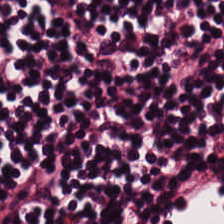Hematoxylin and eosin — Lymphoid infiltrate.
